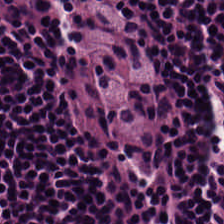Hematoxylin-and-eosin section: lymphoid infiltrate.
